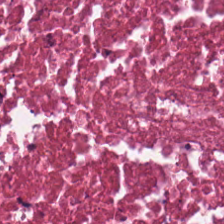The tissue here is necrotic debris.
